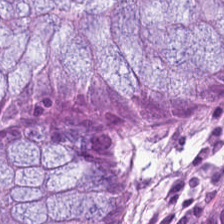Brightfield microscopy · H&E stain · FFPE tissue section — The tissue is benign colonic mucosa.
